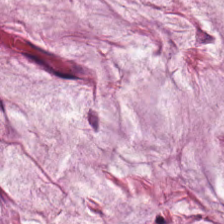Hematoxylin and eosin.
Finding — mucin.
